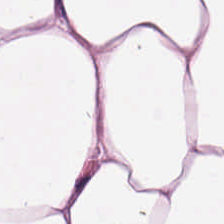H&E stain.
Histology → adipose tissue.
